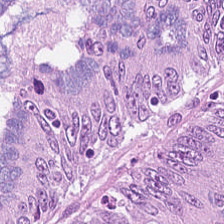224×224 px tile; formalin-fixed paraffin-embedded section; hematoxylin and eosin.
Predominantly adenocarcinoma.
